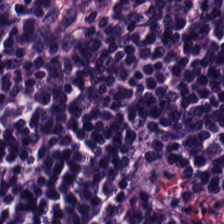Hematoxylin-and-eosin stained section — This patch shows lymphocyte aggregate.
